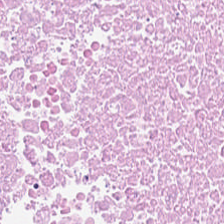The tissue here is cellular debris.
